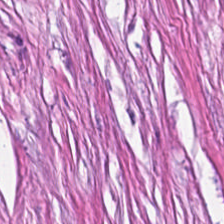H&E-stained tissue section; brightfield. The tissue here is tumor stroma.
